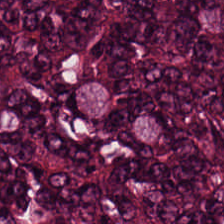WSI patch; H&E — Q: What is the predominant tissue type?
A: The field shows colorectal adenocarcinoma epithelium.
